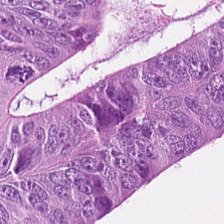Q: What does this patch show?
A: This is adenocarcinoma.
